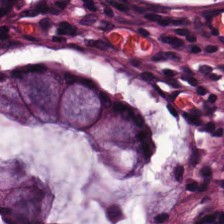0.5 µm per pixel · H&E stain · 224×224 px tile.
{"tissue_type": "normal colonic mucosa"}
